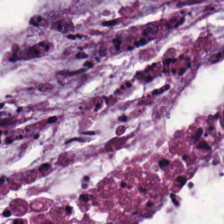0.5 µm per pixel · H&E — Q: What is the predominant tissue type?
A: Mucus.
